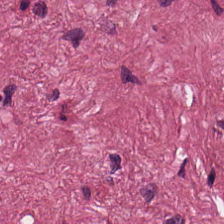Hematoxylin-and-eosin stained section — Tumor-associated stroma.
